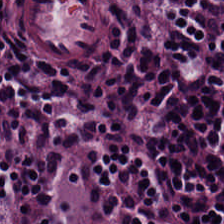FFPE tissue section. H&E-stained tissue section — Q: What tissue is shown?
A: This is lymphoid infiltrate.
